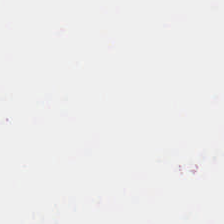Background — no tissue in this field.
